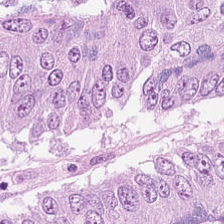Impression → tumor epithelium.
